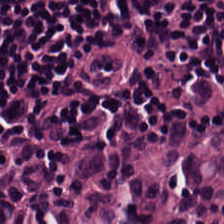H&E; FFPE tissue section — Lymphocytic infiltrate.
